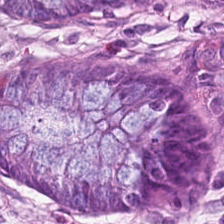Histology → normal colonic mucosa.
